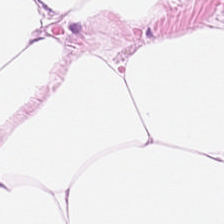224×224 px tile; hematoxylin and eosin — This field is adipocytes.
